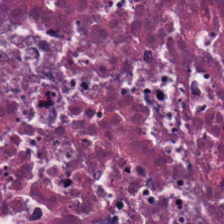Brightfield microscopy. Hematoxylin-and-eosin stained section. Tissue = necrotic debris.
